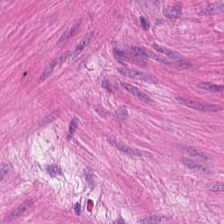H&E · 224×224 px tile — The predominant tissue is muscularis.
